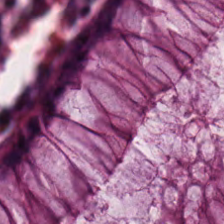H&E stain. This field is benign colonic mucosa.
